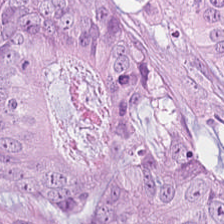Hematoxylin and eosin; WSI patch — This field is colorectal adenocarcinoma.
